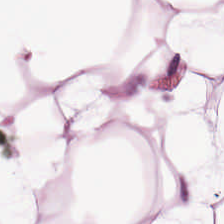Formalin-fixed paraffin-embedded section. H&E.
{"tissue_type": "adipocytes"}
